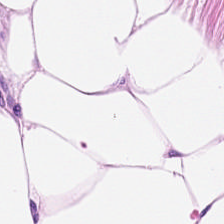Whole-slide-image patch; hematoxylin and eosin; 224×224 pixel tile.
The tissue here is adipose.
